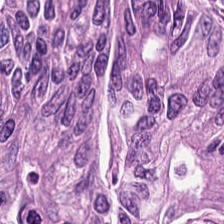Hematoxylin-and-eosin stained section. Brightfield microscopy.
This field is colorectal adenocarcinoma epithelium.
